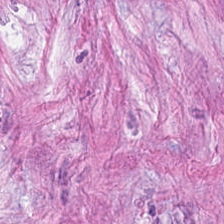Hematoxylin and eosin. {"tissue_type": "cancer-associated stroma"}
